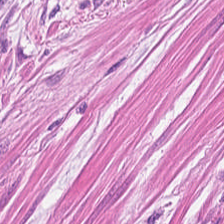FFPE; 224×224 px tile; hematoxylin-and-eosin stained section. The predominant tissue is muscularis.
